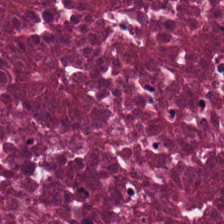H&E-stained tissue section — Necrotic debris.
